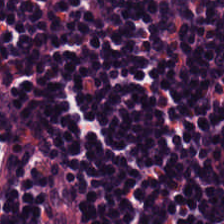Hematoxylin and eosin; brightfield microscopy — Finding → lymphoid infiltrate.
